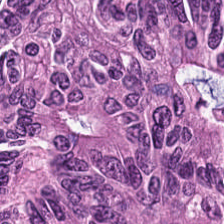H&E.
{"tissue_type": "adenocarcinoma"}
